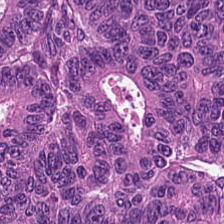This field is tumor epithelium.
